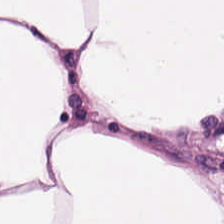Stain: hematoxylin-and-eosin stained section.
Tissue type: adipose.
